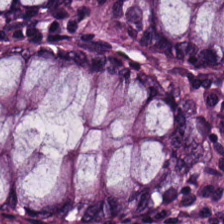H&E stain — The predominant tissue is normal colon mucosa.
